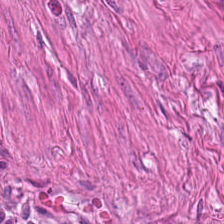Finding — muscularis.
